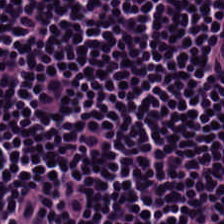0.5 microns per pixel · H&E stain — Q: What is shown in this field?
A: Lymphocytic infiltrate.
